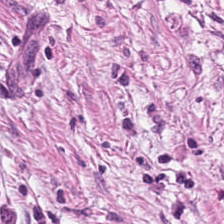Stain: hematoxylin and eosin.
Tissue: tumor-associated stroma.
